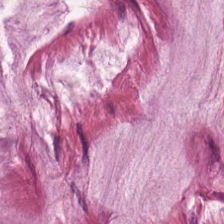This field is extracellular mucin.
